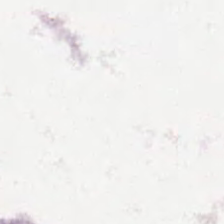This field is background (no tissue).
